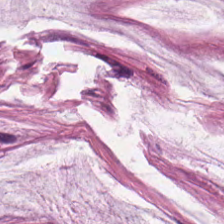Impression → mucin.
